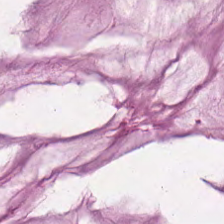WSI patch; H&E-stained tissue section — Finding — extracellular mucin.
